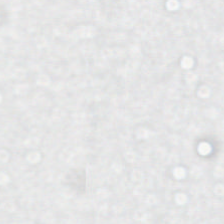FFPE · H&E.
This field is background (no tissue).
